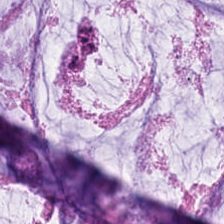Hematoxylin-and-eosin section: mucus.
